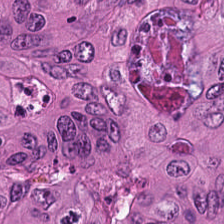This field is tumor epithelium.
